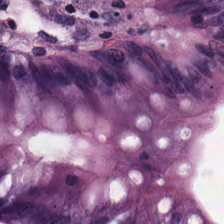H&E stain.
Tissue class — normal colonic mucosa.
